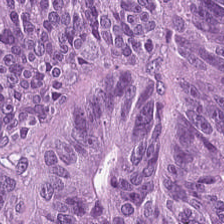Hematoxylin-and-eosin stained section.
Tissue: colorectal adenocarcinoma.
